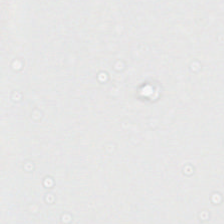H&E stain.
Q: What does this patch show?
A: Background.
